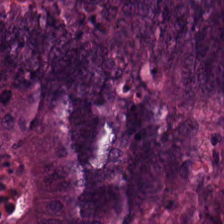H&E stain · FFPE tissue section. The predominant tissue is colorectal adenocarcinoma epithelium.
